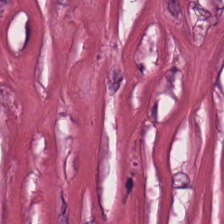H&E. 224×224 px patch.
Q: Classify this patch.
A: This is desmoplastic stroma.
